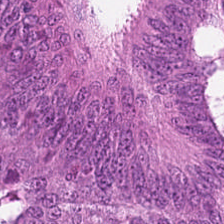224×224 px patch; H&E stain. The tissue is adenocarcinoma.
